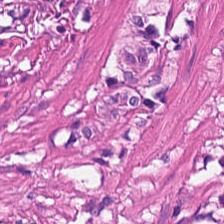Hematoxylin and eosin — Impression — muscularis.
